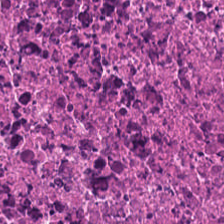H&E-stained tissue section; whole-slide-image patch — Histology → necrotic debris.
